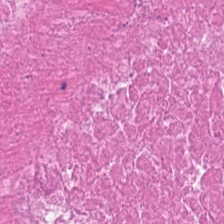H&E-stained tissue section. The tissue here is necrotic debris.
